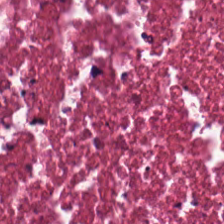Hematoxylin and eosin.
Classification: cellular debris.
